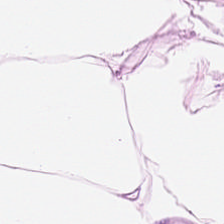Q: What type of tissue is this?
A: This is adipose.
